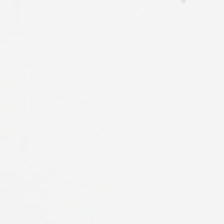Hematoxylin and eosin — Q: What is shown here?
A: This is empty background.
